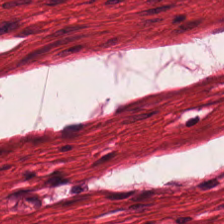20× equivalent magnification; FFPE; hematoxylin-and-eosin stained section — The tissue class is smooth muscle.
